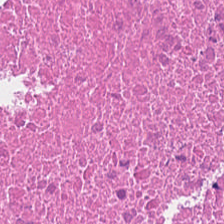H&E — Q: What type of tissue is this?
A: This is cellular debris.
